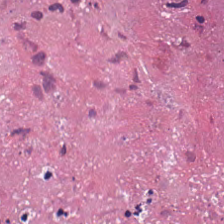H&E-stained tissue section. Whole-slide-image patch.
This field is debris.
